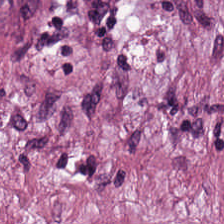20× equivalent magnification. H&E-stained tissue section.
This field is desmoplastic stroma.
